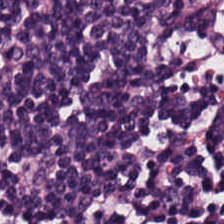H&E. Histology → lymphocytes.
